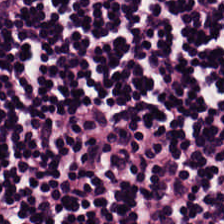FFPE tissue section; H&E stain; 0.5 µm per pixel. The tissue here is lymphocytes.
